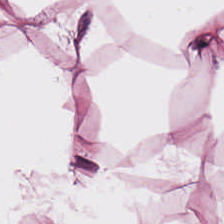The tissue here is adipocytes.
